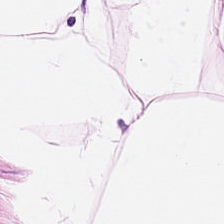Hematoxylin-and-eosin section: adipocytes.
